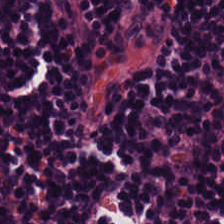Q: What does this patch show?
A: Lymphocytes.
